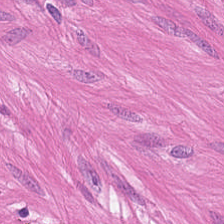0.5 µm per pixel; 224×224 px patch; H&E.
Q: What is the predominant tissue type?
A: Smooth-muscle tissue.
